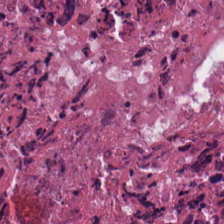Hematoxylin-and-eosin stained section.
Tissue = necrotic debris.
